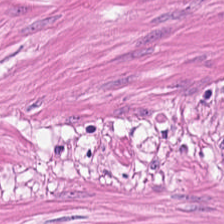Hematoxylin-and-eosin stained section · brightfield.
Showing muscularis.
